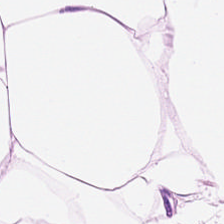Hematoxylin-and-eosin stained section.
This field is adipose tissue.
